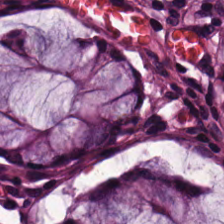Predominant tissue = non-neoplastic colon mucosa.
